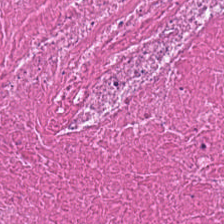WSI patch. Hematoxylin and eosin. 0.5 microns per pixel.
Impression — necrotic debris.
